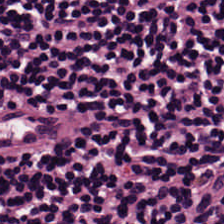Stain: H&E.
Tile size: 224×224 px tile.
Tissue type: lymphocyte aggregate.
